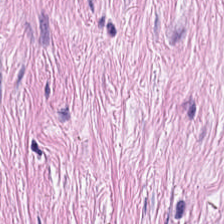0.5 µm/px · H&E stain. {"tissue_type": "desmoplastic stroma"}
